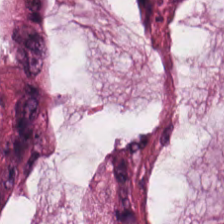Formalin-fixed paraffin-embedded section · WSI patch · hematoxylin and eosin. This patch shows extracellular mucin.
